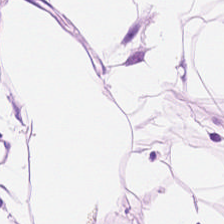Hematoxylin and eosin — Classification — adipose.
